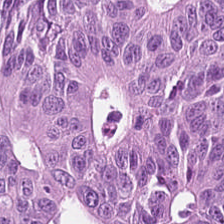Histology → tumor epithelium.
